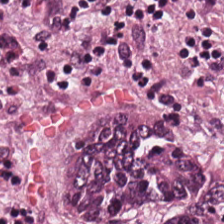H&E stain.
Q: What tissue is shown?
A: The field shows adenocarcinoma.
